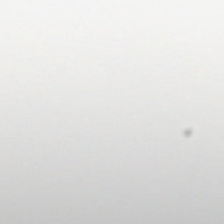Stain: H&E stain.
Classification: empty background.
